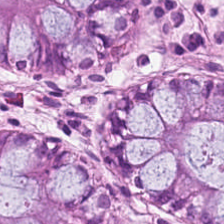Stain: H&E-stained tissue section.
Tissue type: non-neoplastic colon mucosa.
